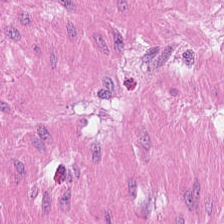Predominantly muscularis.
